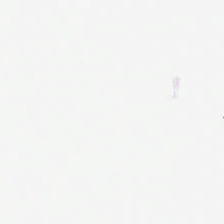{"content": "background (no tissue)"}
